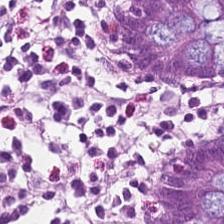This patch shows normal colonic mucosa.
